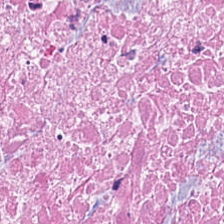Hematoxylin-and-eosin stained section — Predominantly debris.
